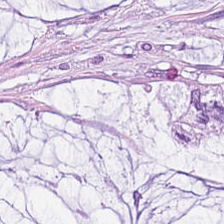Finding → mucin.
